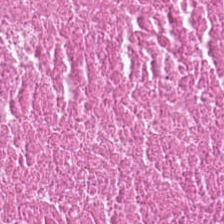H&E-stained tissue section · FFPE — Finding → necrotic debris.
